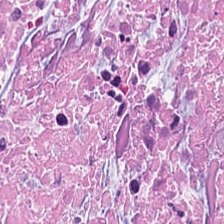Hematoxylin and eosin. 224×224 px tile. 20× equivalent magnification. Q: Classify this patch.
A: This is cellular debris.
